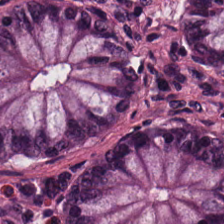Hematoxylin and eosin.
The classification is benign colonic mucosa.
